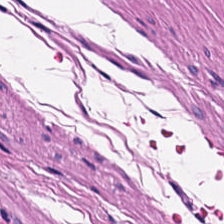Hematoxylin and eosin.
Impression → smooth muscle.
